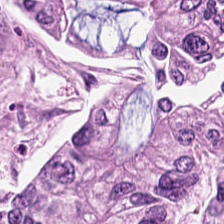H&E stain. Showing colorectal adenocarcinoma.
